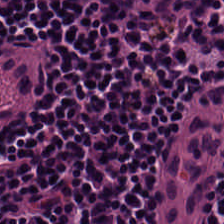224×224 px tile · brightfield · hematoxylin and eosin.
Finding → lymphocyte aggregate.
